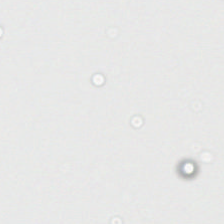Stain: hematoxylin-and-eosin stained section.
Preparation: FFPE.
Content: background (no tissue).
